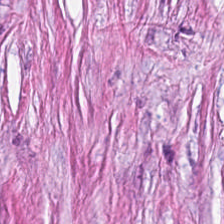Formalin-fixed paraffin-embedded section; hematoxylin-and-eosin stained section — Tumor stroma.
